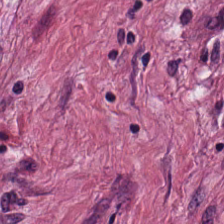H&E-stained tissue section. 20× equivalent magnification — Q: What is shown in this field?
A: The field shows desmoplastic stroma.
